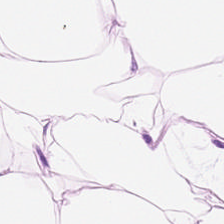Tissue type: adipose tissue.
